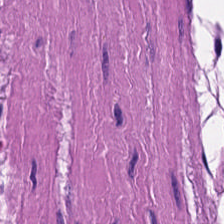H&E. The tissue class is smooth-muscle tissue.
